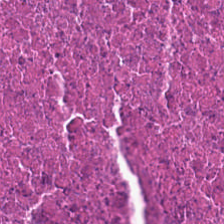0.5 microns per pixel · whole-slide-image patch · hematoxylin and eosin.
Q: Classify this patch.
A: Debris.
